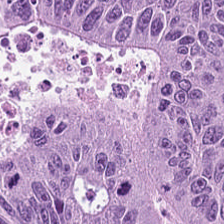Hematoxylin-and-eosin stained section; 0.5 µm per pixel; 224×224 pixel tile. Predominant tissue = malignant epithelium.
